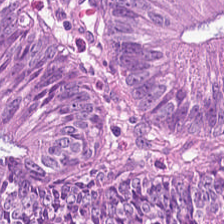Tissue class = tumor epithelium.
